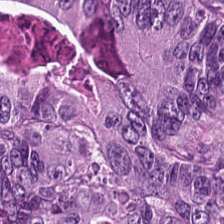H&E patch showing colorectal adenocarcinoma epithelium.
